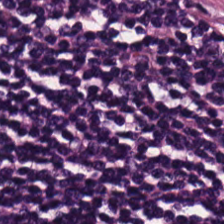Hematoxylin-and-eosin stained section — {"tissue_type": "lymphoid infiltrate"}
